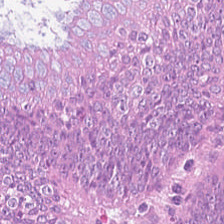Hematoxylin-and-eosin stained section. 224×224 px tile.
Q: What is shown here?
A: The field shows adenocarcinoma.
